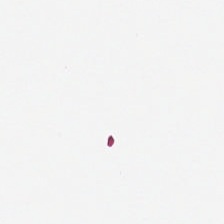The classification is background (no tissue).
